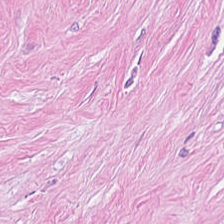Stain: hematoxylin and eosin.
Tissue class: cancer-associated stroma.
